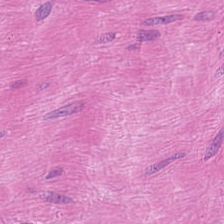H&E-stained tissue section — Predominant tissue: smooth muscle.
